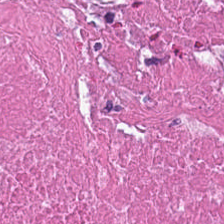0.5 µm per pixel; FFPE tissue section; H&E — Tissue type = necrotic debris.
